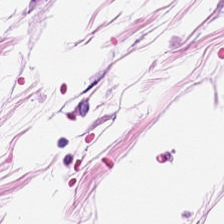Hematoxylin and eosin. Predominant tissue — adipocytes.
